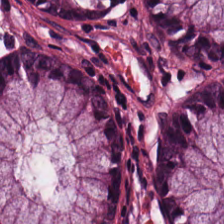H&E stain. Showing normal colon mucosa.
